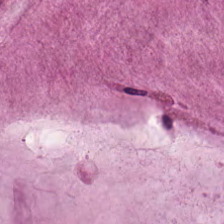Stain: H&E.
Tissue class: mucus.
